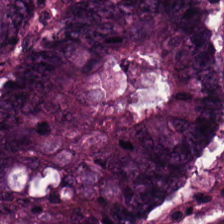Predominant tissue: colorectal adenocarcinoma epithelium.
